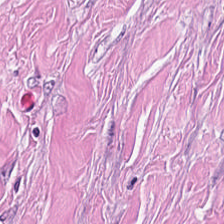This field is desmoplastic stroma.
